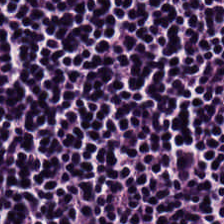Hematoxylin and eosin; 0.5 microns per pixel; brightfield microscopy.
Histology — lymphocytes.
